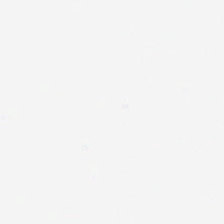Hematoxylin and eosin.
Q: What is shown here?
A: It is empty background.
